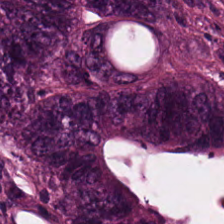Hematoxylin-and-eosin section: colorectal adenocarcinoma epithelium.
